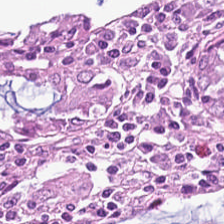224×224 px tile. Hematoxylin-and-eosin stained section. 0.5 microns per pixel.
This field is normal colonic mucosa.
